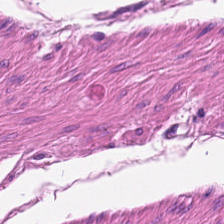H&E stain.
The predominant tissue is muscularis.
